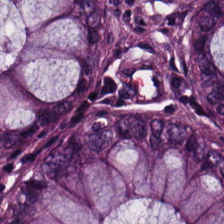224×224 px tile. H&E-stained tissue section.
Classification: benign colonic mucosa.
